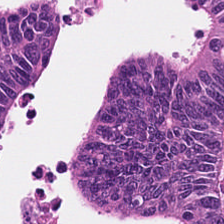Hematoxylin and eosin. Brightfield microscopy. 0.5 µm/px — {"tissue_type": "colorectal adenocarcinoma epithelium"}
